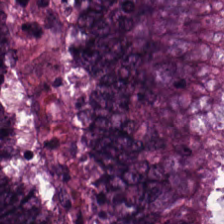Hematoxylin and eosin.
Impression — adenocarcinoma.
